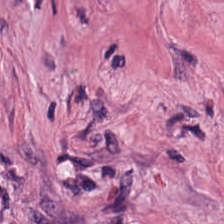Finding — desmoplastic stroma.
